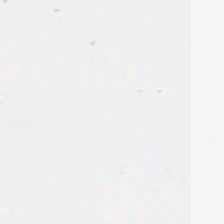H&E stain · FFPE. Q: Classify this patch.
A: This is empty background.
